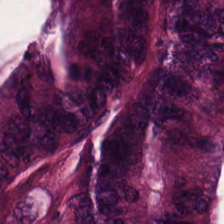Stain: hematoxylin-and-eosin stained section.
Classification: malignant epithelium.
